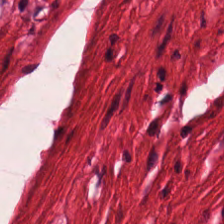H&E stain. Predominant tissue — smooth-muscle tissue.
